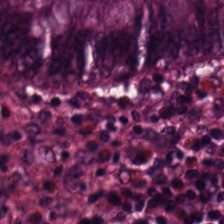H&E — normal colonic mucosa.
